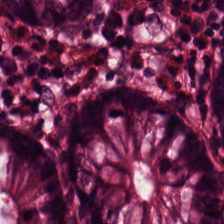H&E. Tissue: benign colonic mucosa.
